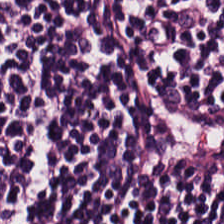H&E-stained tissue section.
This patch shows lymphocytes.
